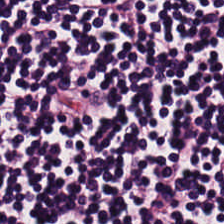H&E — Finding — lymphocyte aggregate.
